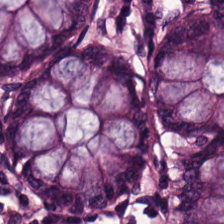H&E stain — Tissue: normal colon mucosa.
